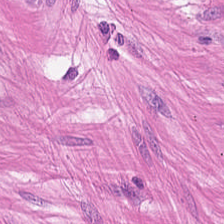H&E-stained tissue section — The predominant tissue is smooth muscle.
